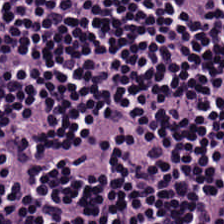H&E-stained tissue section · brightfield microscopy. Q: Classify this patch.
A: It is lymphocytes.
